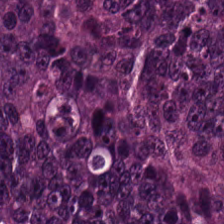H&E. 0.5 µm per pixel — The predominant tissue is tumor epithelium.
